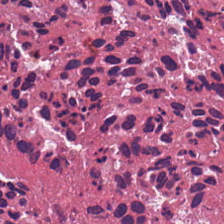H&E stain; formalin-fixed paraffin-embedded section; brightfield. This patch shows necrotic debris.
